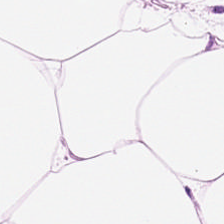H&E-stained tissue section; formalin-fixed paraffin-embedded section — This patch shows adipose.
